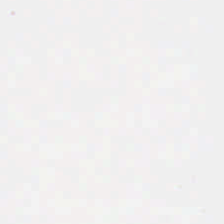Hematoxylin-and-eosin stained section. Background — no tissue in this field.
